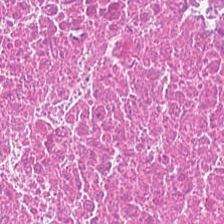0.5 µm per pixel. H&E stain. Brightfield microscopy. This field is cellular debris.
